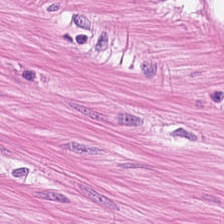H&E. 0.5 µm per pixel — {"tissue_type": "smooth muscle"}
